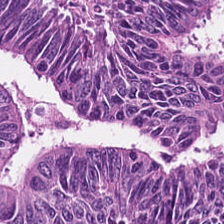The predominant tissue is malignant epithelium.
